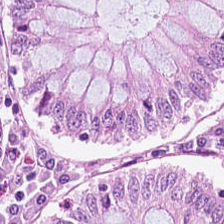Stain: H&E-stained tissue section.
Acquisition: brightfield microscopy.
Tissue: normal colon mucosa.
